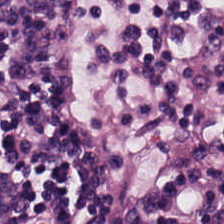The predominant tissue is lymphocytic infiltrate.
